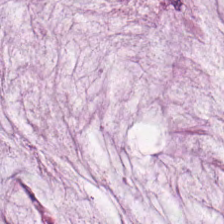H&E stain — Showing mucus.
